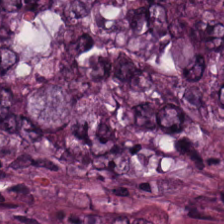Predominantly colorectal adenocarcinoma.
